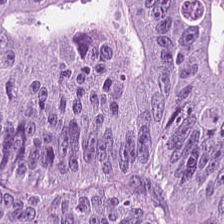WSI patch. Hematoxylin-and-eosin stained section.
Predominantly adenocarcinoma.
